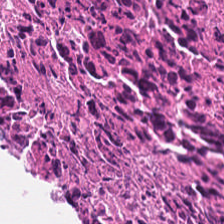The predominant tissue is cellular debris.
